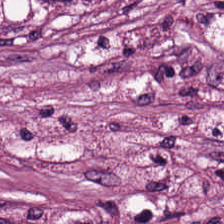Tissue = cancer-associated stroma.
